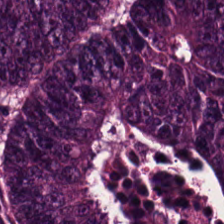Hematoxylin and eosin. Predominantly colorectal adenocarcinoma epithelium.
